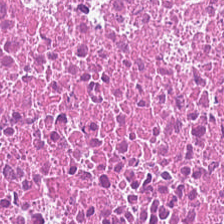Stain: hematoxylin and eosin.
Predominant tissue: debris.
